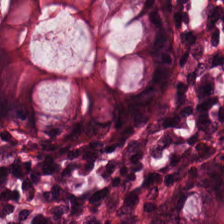H&E. 224×224 px patch. Whole-slide-image patch. Predominantly normal colonic mucosa.
